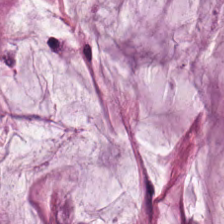Hematoxylin-and-eosin stained section. The classification is mucus.
